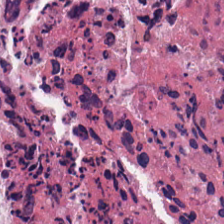WSI patch. H&E stain. 20× equivalent magnification — Tissue type: necrotic debris.
